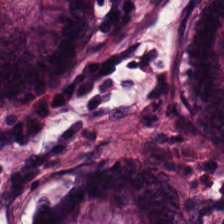H&E. The predominant tissue is non-neoplastic colon mucosa.
